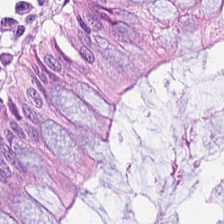The predominant tissue is non-neoplastic colon mucosa.
